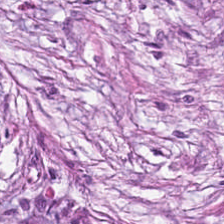Hematoxylin and eosin · whole-slide-image patch — Q: What type of tissue is this?
A: Desmoplastic stroma.
